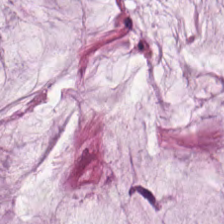H&E-stained tissue section — {"tissue_type": "extracellular mucin"}
